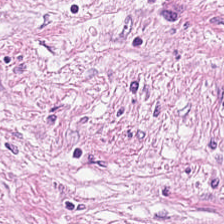H&E — Tumor stroma.
